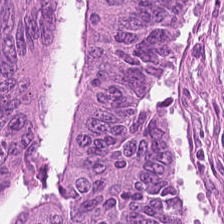0.5 µm per pixel. H&E-stained tissue section — Tissue — tumor epithelium.
